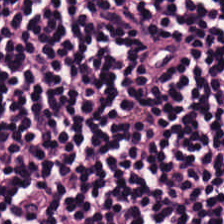Tissue = lymphoid infiltrate.
